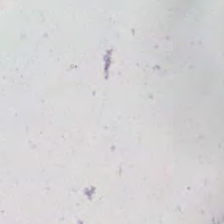224×224 pixel tile. Hematoxylin and eosin.
Empty background.
